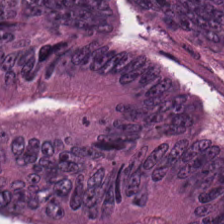H&E — Predominant tissue = colorectal adenocarcinoma epithelium.
